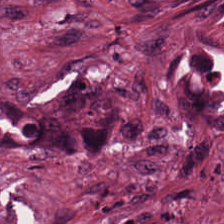H&E. 224×224 px patch — Predominant tissue = tumor stroma.
